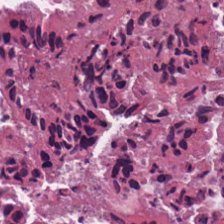0.5 microns per pixel · H&E stain — Q: What is the predominant tissue type?
A: The field shows cellular debris.
